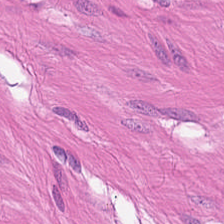Hematoxylin and eosin. Predominant tissue — smooth muscle.
